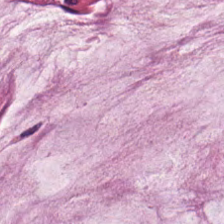Stain: H&E stain.
Preparation: FFPE.
Predominant tissue: mucus.
